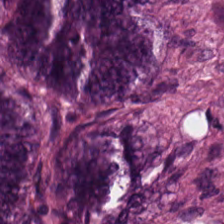The predominant tissue is tumor epithelium.
